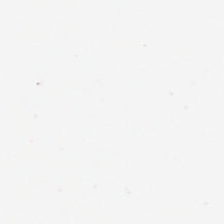224×224 px tile. Brightfield microscopy. H&E stain. No tissue present; background only.
